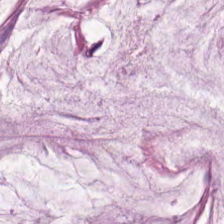Stain: hematoxylin-and-eosin stained section.
Acquisition: whole-slide-image patch.
Predominant tissue: extracellular mucin.
